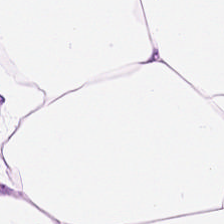Hematoxylin and eosin. Whole-slide-image patch — The tissue is adipose.
